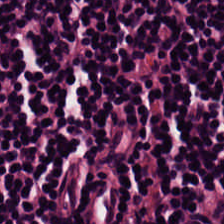Histology → lymphocyte aggregate.
